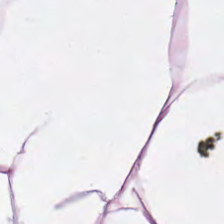H&E stain. FFPE. 224×224 px patch — This patch shows fat tissue.
